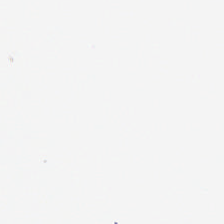20× equivalent magnification · H&E stain — Background (no tissue).
